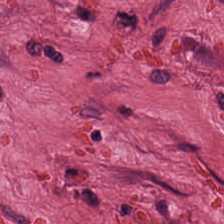H&E · 224×224 px patch — The classification is tumor-associated stroma.
